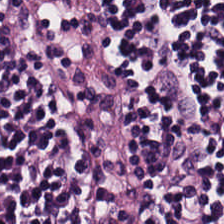H&E-stained tissue section — The tissue class is lymphoid infiltrate.
